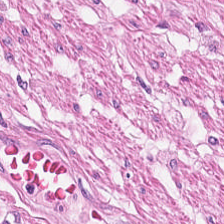Stain: hematoxylin-and-eosin stained section.
Tissue type: smooth muscle.
